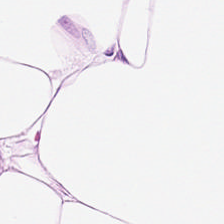H&E.
This field is adipose.
